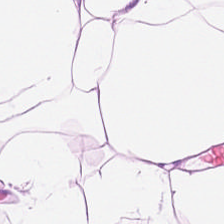Hematoxylin and eosin. The tissue class is adipose tissue.
